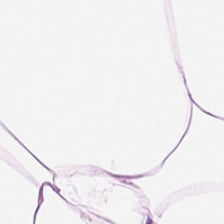H&E stain.
This field is adipose.
